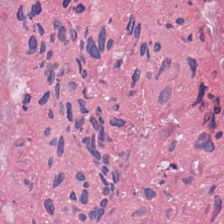Formalin-fixed paraffin-embedded section. H&E stain — Tissue type — necrotic debris.
